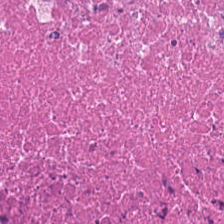H&E-stained tissue section. Brightfield microscopy.
The tissue type is necrotic debris.
